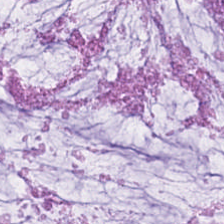H&E-stained tissue section — Tissue = mucus.
